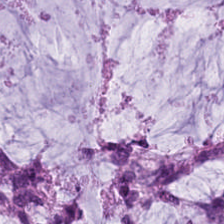H&E-stained tissue section. 0.5 µm per pixel. Mucus.
